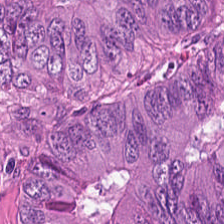FFPE · 20× equivalent magnification · hematoxylin-and-eosin stained section.
Showing colorectal adenocarcinoma epithelium.
